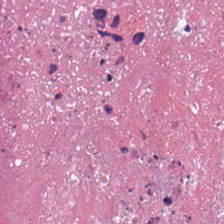H&E-stained tissue section — The tissue here is cellular debris.
